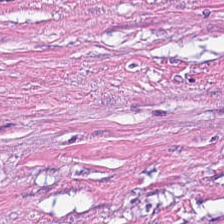H&E stain — Predominantly tumor stroma.
